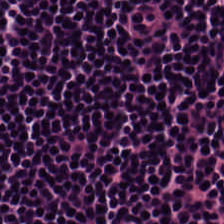Hematoxylin-and-eosin stained section. FFPE tissue section. Q: What tissue type is shown here?
A: Lymphocytes.
